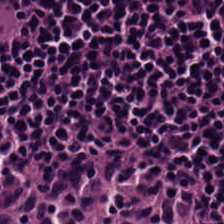0.5 microns per pixel; brightfield; H&E. Impression → lymphocyte aggregate.
